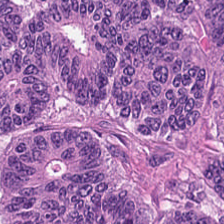H&E stain — This field is colorectal adenocarcinoma epithelium.
